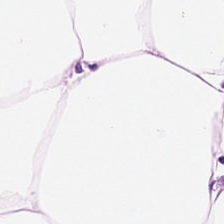Hematoxylin and eosin — Q: What tissue type is shown here?
A: The field shows adipose tissue.
